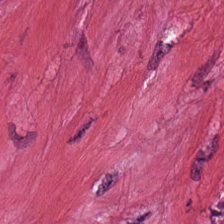224×224 px patch; whole-slide-image patch; hematoxylin-and-eosin stained section. This patch shows tumor-associated stroma.
